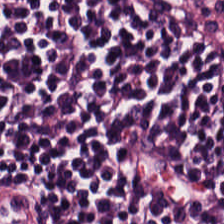Hematoxylin-and-eosin stained section — Showing lymphocyte aggregate.
